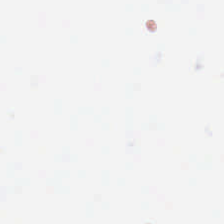H&E-stained tissue section — Q: Classify this patch.
A: The field shows background.
